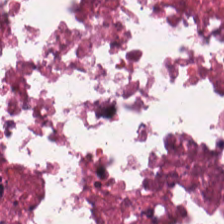Hematoxylin-and-eosin stained section.
Debris.
